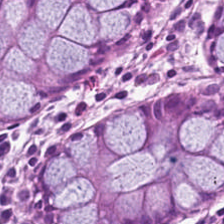H&E — {"tissue_type": "normal colon mucosa"}
